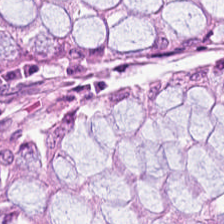Stain: H&E stain.
Tissue class: non-neoplastic colon mucosa.
